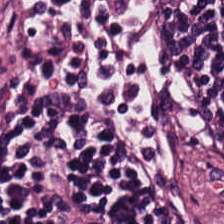20× equivalent magnification · H&E stain · WSI patch.
Q: What is the predominant tissue type?
A: Lymphocytic infiltrate.
